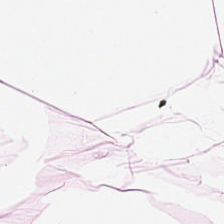Stain: H&E-stained tissue section.
Classification: adipocytes.
